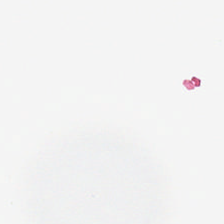Empty field — background.
